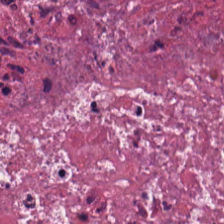Hematoxylin and eosin. The tissue here is debris.
